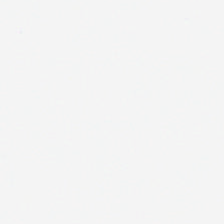Hematoxylin and eosin; WSI patch; formalin-fixed paraffin-embedded section — This patch shows empty background.
